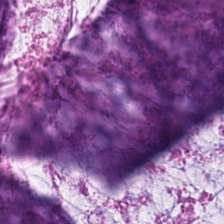0.5 µm/px. Hematoxylin and eosin. Tissue type — extracellular mucin.
